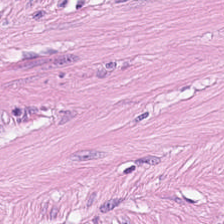H&E-stained tissue section — Q: What is shown in this field?
A: The field shows smooth-muscle tissue.
